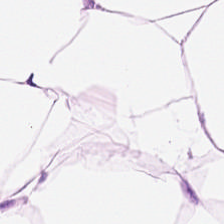H&E-stained tissue section. Predominant tissue — adipose tissue.
